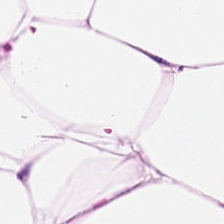Hematoxylin-and-eosin section: adipose.
